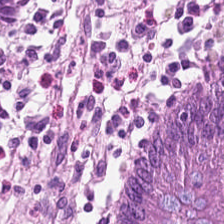This field is non-neoplastic colon mucosa.
